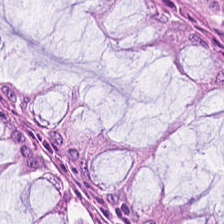Tissue = non-neoplastic colon mucosa.
